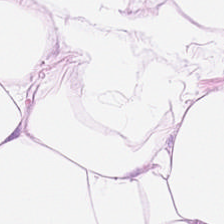H&E stain.
{"tissue_type": "adipose tissue"}
